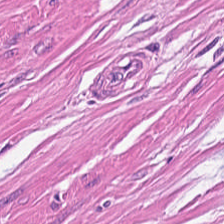H&E — Tissue class — muscularis.
